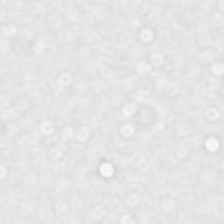H&E stain. 20× equivalent magnification. FFPE. {"content": "background (no tissue)"}
